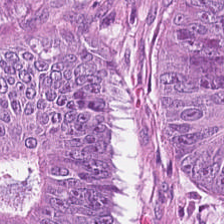Hematoxylin-and-eosin section: adenocarcinoma.
